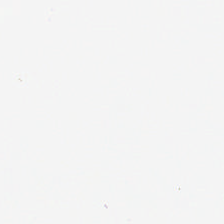Brightfield · H&E · 20× equivalent magnification. Content: background (no tissue).
